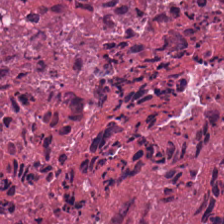Tissue type — debris.
